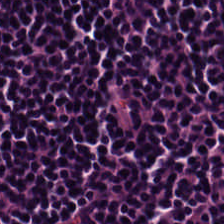WSI patch. H&E.
Predominantly lymphocytic infiltrate.
